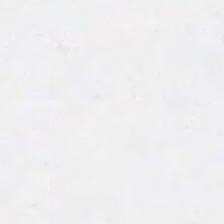H&E; FFPE; 224×224 px patch — The classification is background (no tissue).
